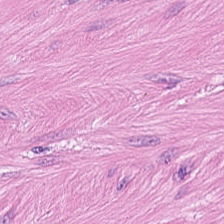Hematoxylin and eosin — This field is smooth muscle.
